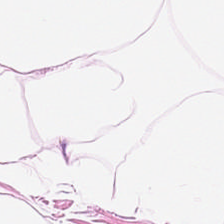H&E · whole-slide-image patch · 224×224 px tile. Tissue class — fat tissue.
